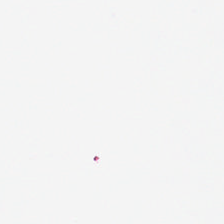H&E-stained tissue section — Q: Classify this patch.
A: This is background (no tissue).
